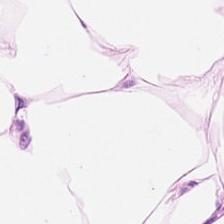H&E — Q: What is shown in this field?
A: This is fat tissue.
